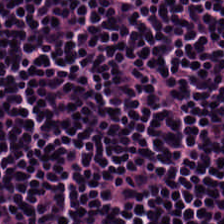Hematoxylin and eosin. The tissue here is lymphocyte aggregate.
